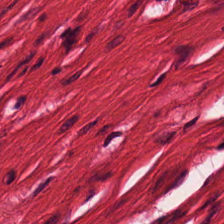H&E. Tissue class = muscularis.
